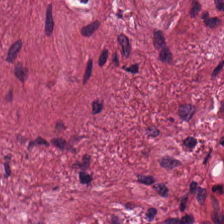Tissue class — tumor-associated stroma.
